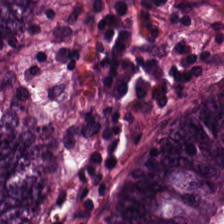H&E stain. Tissue — malignant epithelium.
